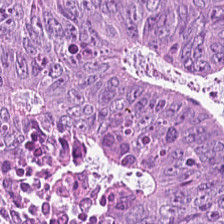Hematoxylin-and-eosin stained section.
{"tissue_type": "adenocarcinoma"}
